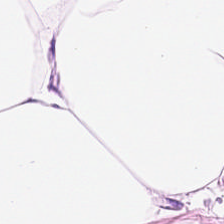H&E — adipose tissue.
